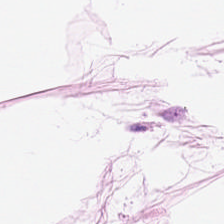{"tissue_type": "fat tissue"}
